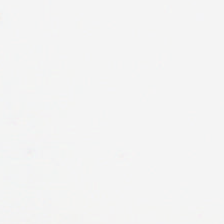H&E-stained tissue section.
Classification = background.
